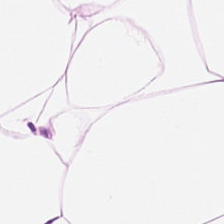H&E; FFPE — Q: What does this patch show?
A: This is adipocytes.
